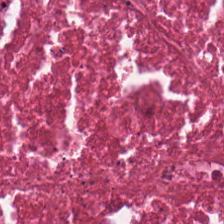H&E-stained tissue section.
Tissue class = cellular debris.
